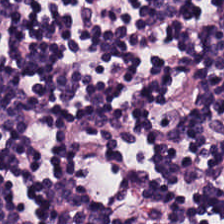H&E stain.
Q: What is the predominant tissue type?
A: It is lymphocyte aggregate.
